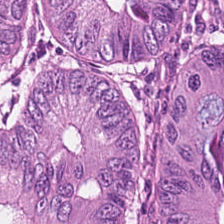H&E. {"tissue_type": "colorectal adenocarcinoma"}
